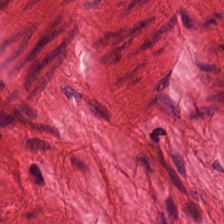H&E. FFPE tissue section. Tissue — muscularis.
